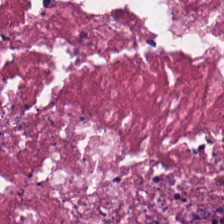0.5 µm per pixel · H&E-stained tissue section. Classification = debris.
